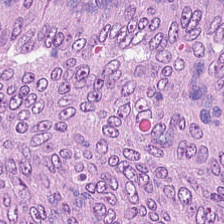H&E-stained tissue section.
Q: Identify the tissue.
A: This is colorectal adenocarcinoma epithelium.
